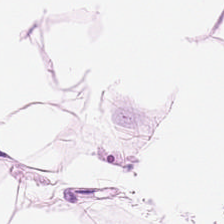FFPE · hematoxylin-and-eosin stained section.
Q: What type of tissue is this?
A: This is adipocytes.
